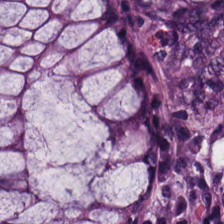Stain: hematoxylin and eosin.
Predominant tissue: benign colonic mucosa.
